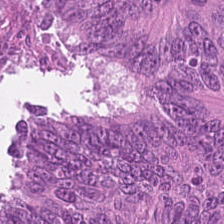20× equivalent magnification. H&E-stained tissue section. 224×224 px tile.
Malignant epithelium.
